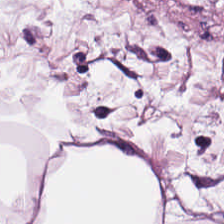H&E; FFPE tissue section — Q: Identify the tissue.
A: It is fat tissue.
